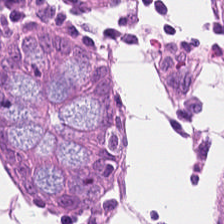H&E; FFPE.
Tissue type — normal colonic mucosa.
